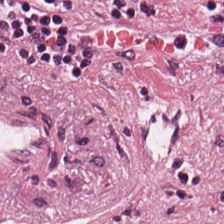Classification = desmoplastic stroma.
